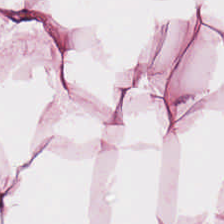Hematoxylin and eosin — This field is adipose.
